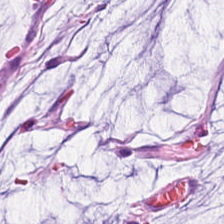The tissue here is mucus.
